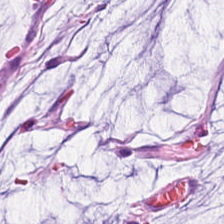The tissue here is mucus.
